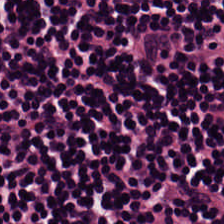H&E · 224×224 px patch · FFPE.
This patch shows lymphocytic infiltrate.
